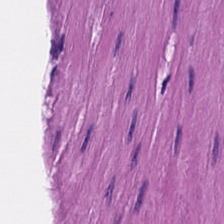Formalin-fixed paraffin-embedded section. Hematoxylin-and-eosin stained section. 224×224 px tile. Q: Identify the tissue.
A: Muscularis.
